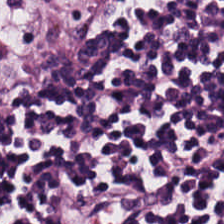H&E · whole-slide-image patch — {"tissue_type": "lymphocyte aggregate"}
